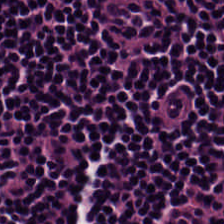Hematoxylin-and-eosin stained section. 224×224 px tile. This patch shows lymphocytes.
